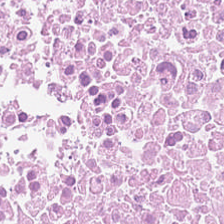H&E · FFPE · whole-slide-image patch.
Predominantly necrotic debris.
